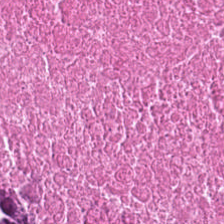Hematoxylin-and-eosin stained section.
Tissue class — cellular debris.
